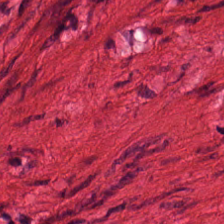The predominant tissue is smooth muscle.
